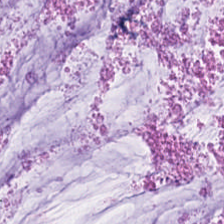H&E. Histology → extracellular mucin.
